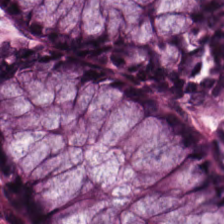H&E-stained tissue section — The tissue here is normal colon mucosa.
